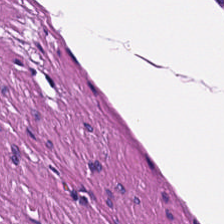H&E stain; 224×224 pixel tile.
This patch shows muscularis.
